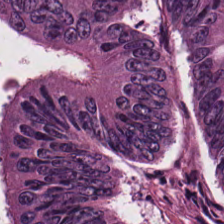H&E-stained tissue section · 224×224 pixel tile.
This field is tumor epithelium.
